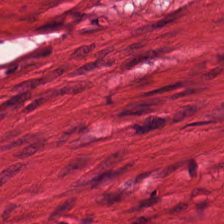Brightfield. H&E-stained tissue section — Tissue: muscularis.
